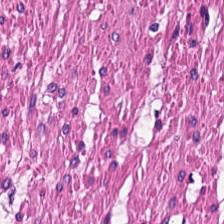Hematoxylin and eosin — This field is muscularis.
